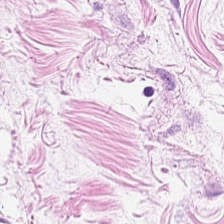H&E — Q: What does this patch show?
A: It is adipocytes.
